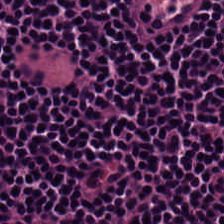Hematoxylin-and-eosin stained section. Tissue class = lymphocytic infiltrate.
